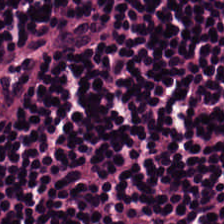H&E. 224×224 px tile. Showing lymphoid infiltrate.
